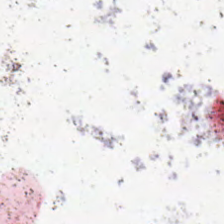Hematoxylin-and-eosin stained section · FFPE tissue section · 0.5 µm/px. Content — no tissue.
